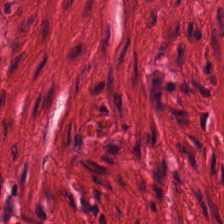FFPE; 0.5 µm/px; H&E — Showing smooth-muscle tissue.
